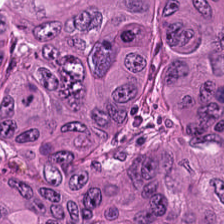Hematoxylin-and-eosin stained section · 224×224 px patch. This patch shows colorectal adenocarcinoma.
